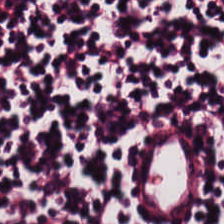0.5 µm/px; hematoxylin-and-eosin stained section. Q: What is shown here?
A: Lymphocytic infiltrate.
